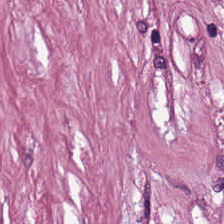Formalin-fixed paraffin-embedded section · hematoxylin-and-eosin stained section — Finding → cancer-associated stroma.
